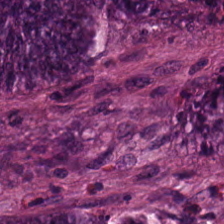H&E. FFPE. Classification: colorectal adenocarcinoma.
